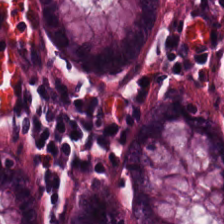Hematoxylin and eosin · 224×224 px patch. This field is non-neoplastic colon mucosa.
